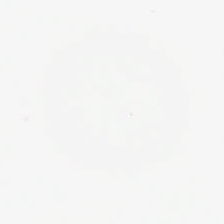H&E — Content: no tissue.
